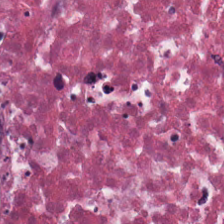Hematoxylin-and-eosin stained section — The tissue here is necrotic debris.
